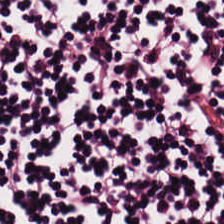FFPE tissue section · H&E-stained tissue section · 224×224 px tile — Q: What does this patch show?
A: It is lymphoid infiltrate.
